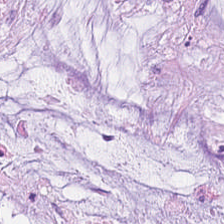Stain: hematoxylin-and-eosin stained section.
Tile size: 224×224 pixel tile.
Classification: mucin.
